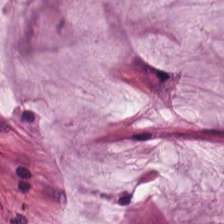This field is extracellular mucin.
